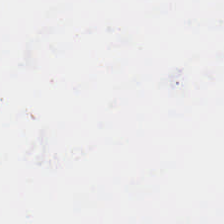Stain: H&E stain.
Tile size: 224×224 pixel tile.
Acquisition: whole-slide-image patch.
Content: no tissue.
